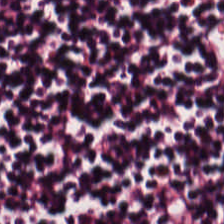Brightfield. 0.5 µm per pixel. H&E — Q: Classify this patch.
A: It is lymphocytes.
